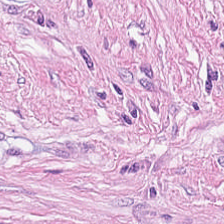Hematoxylin-and-eosin stained section. Brightfield. 20× equivalent magnification — Showing tumor stroma.
